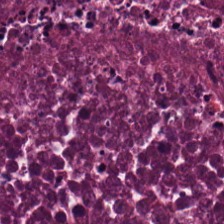Stain: hematoxylin-and-eosin stained section.
Tissue class: debris.
